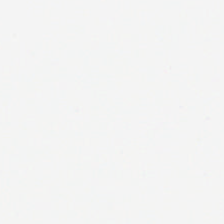Hematoxylin-and-eosin stained section; 0.5 microns per pixel. Content: empty background.
